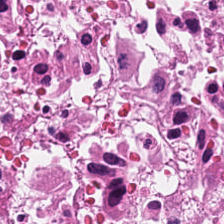H&E stain.
Tissue class = cellular debris.
